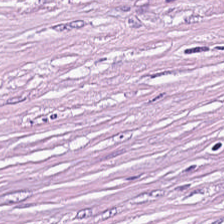Stain: H&E stain.
Classification: desmoplastic stroma.
